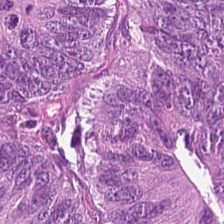Brightfield microscopy · H&E stain. Showing tumor epithelium.
